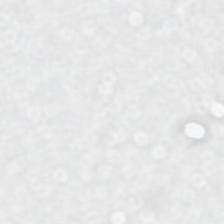Hematoxylin and eosin. This patch shows background.
